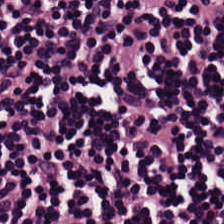Whole-slide-image patch · hematoxylin-and-eosin stained section — Predominant tissue = lymphocytes.
